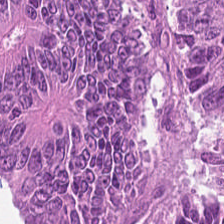Hematoxylin-and-eosin stained section.
Malignant epithelium.
